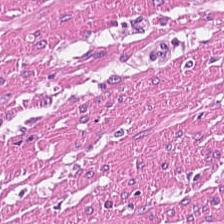Hematoxylin-and-eosin stained section · 0.5 µm per pixel · WSI patch — This patch shows smooth-muscle tissue.
